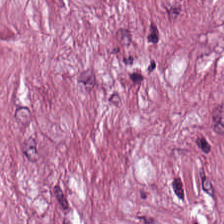Stain: H&E-stained tissue section.
Resolution: 0.5 µm/px.
Tile size: 224×224 pixel tile.
Classification: cancer-associated stroma.
